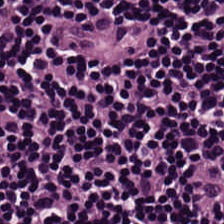H&E-stained section; the field shows lymphocytic infiltrate.
